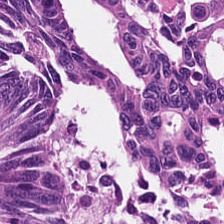Tissue class — colorectal adenocarcinoma.
